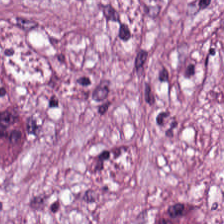Whole-slide-image patch. Hematoxylin and eosin.
The tissue class is tumor stroma.
